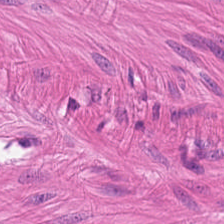Hematoxylin and eosin — Q: What is the predominant tissue type?
A: The field shows muscularis.
